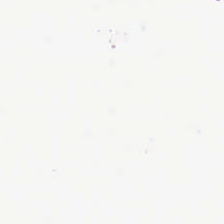224×224 px patch · H&E.
No tissue present; background only.
